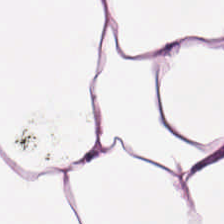FFPE; hematoxylin-and-eosin stained section. This patch shows adipose tissue.
